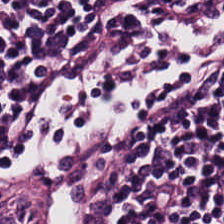Stain: H&E.
Predominant tissue: lymphocytic infiltrate.
